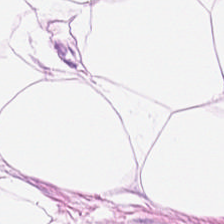Hematoxylin and eosin. Q: What tissue type is shown here?
A: Adipose tissue.
